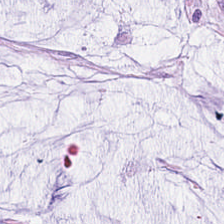Formalin-fixed paraffin-embedded section · H&E — Predominant tissue = mucin.
